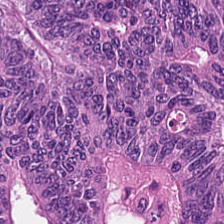H&E.
Colorectal adenocarcinoma.
